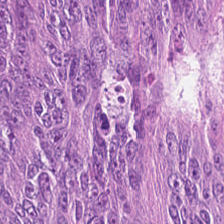H&E stain — Impression — colorectal adenocarcinoma.
